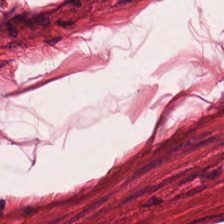H&E stain. 20× equivalent magnification.
Tissue class = muscularis.
